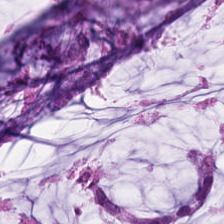Impression → mucus.
